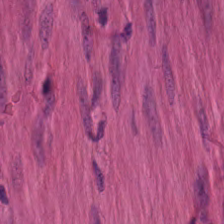H&E; brightfield microscopy; 0.5 µm per pixel.
Showing smooth muscle.
